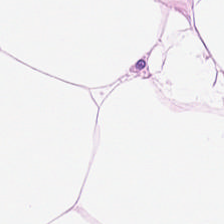Hematoxylin and eosin.
Classification — adipose tissue.
